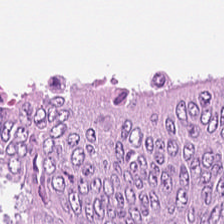H&E.
Predominantly adenocarcinoma.
